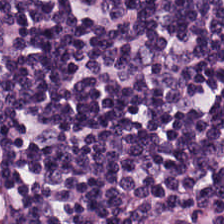Hematoxylin-and-eosin stained section; brightfield.
Lymphocyte aggregate.
